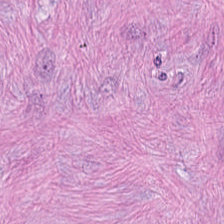Brightfield microscopy; hematoxylin and eosin; FFPE — Histology — tumor-associated stroma.
